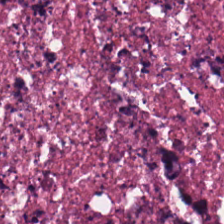H&E · 0.5 µm/px · FFPE tissue section.
Showing cellular debris.
